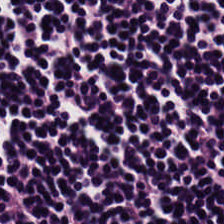H&E · brightfield microscopy. Predominantly lymphocyte aggregate.
